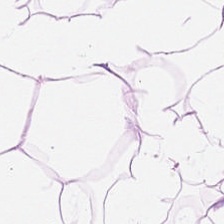Stain: H&E-stained tissue section.
Preparation: formalin-fixed paraffin-embedded section.
Resolution: 20× equivalent magnification.
Tissue: adipose tissue.
